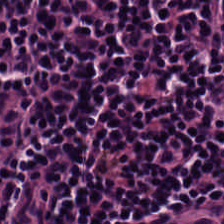224×224 pixel tile; H&E-stained tissue section; brightfield. Q: What tissue is shown?
A: The field shows lymphocytes.
